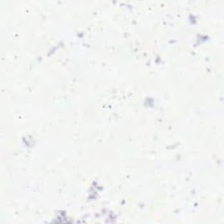Stain: H&E-stained tissue section.
Field content: empty background.
